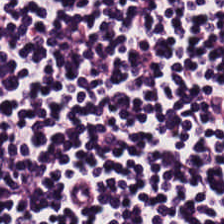Stain: H&E stain.
Tissue: lymphoid infiltrate.
